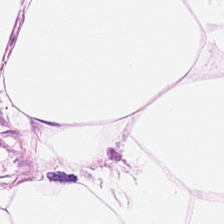Hematoxylin and eosin. Predominantly adipose tissue.
